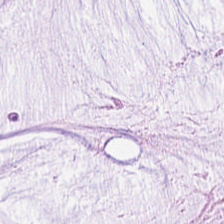Hematoxylin and eosin. FFPE tissue section. The predominant tissue is extracellular mucin.
